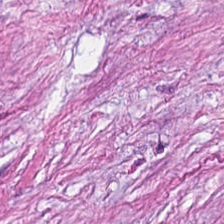Hematoxylin and eosin. WSI patch — This field is tumor stroma.
